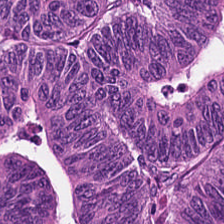H&E — The predominant tissue is colorectal adenocarcinoma epithelium.
